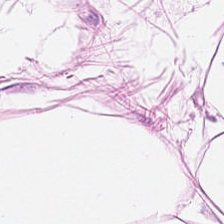Hematoxylin-and-eosin stained section.
Finding — fat tissue.
